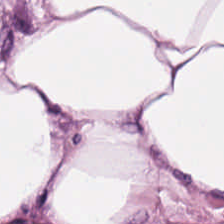Hematoxylin and eosin.
Tissue: adipocytes.
